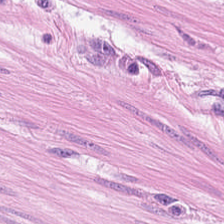Hematoxylin-and-eosin stained section.
The tissue class is smooth-muscle tissue.
